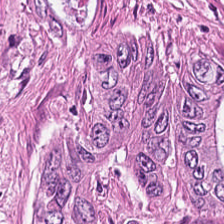H&E-stained tissue section. Whole-slide-image patch — Finding → malignant epithelium.
